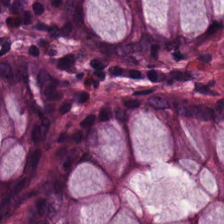Histology → normal colonic mucosa.
